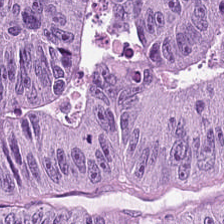224×224 pixel tile; H&E; whole-slide-image patch.
Q: What tissue type is shown here?
A: Colorectal adenocarcinoma epithelium.
